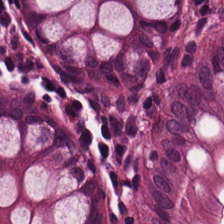Hematoxylin-and-eosin stained section — The tissue here is benign colonic mucosa.
